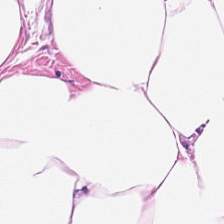The tissue class is adipose tissue.
